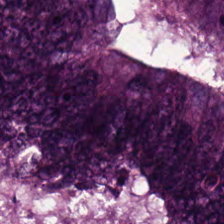Hematoxylin-and-eosin stained section.
Predominantly tumor epithelium.
